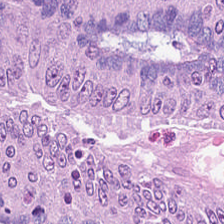Formalin-fixed paraffin-embedded section · 20× equivalent magnification · hematoxylin and eosin.
Predominantly colorectal adenocarcinoma epithelium.
